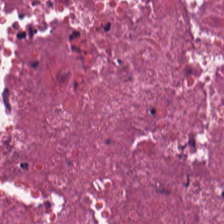Stain: hematoxylin and eosin.
Tile size: 224×224 px patch.
Tissue: cellular debris.
